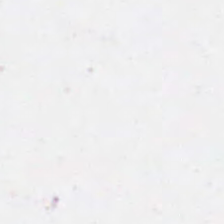20× equivalent magnification. H&E. WSI patch — Content = empty background.
